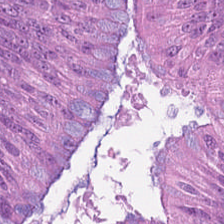Hematoxylin-and-eosin stained section — Tissue type = colorectal adenocarcinoma.
